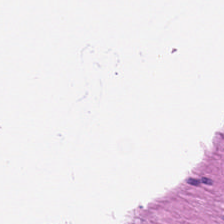0.5 µm/px · H&E stain — Finding — smooth muscle.
